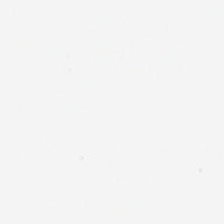H&E-stained tissue section · 224×224 px tile — Empty background.
